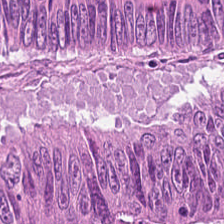Predominant tissue: tumor epithelium.
